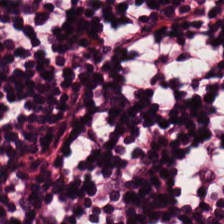Brightfield. H&E — Classification = lymphocytic infiltrate.
